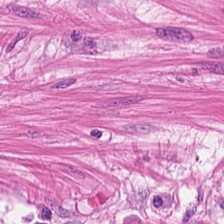H&E stain — Classification — smooth muscle.
